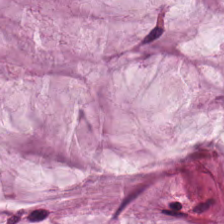This patch shows mucus.
